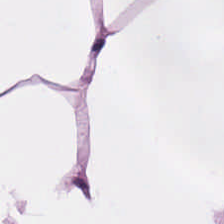224×224 px tile · H&E — Fat tissue.
